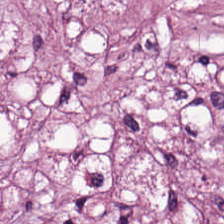H&E. Showing tumor-associated stroma.
